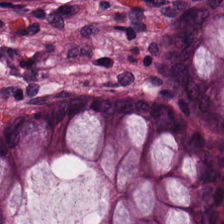H&E. Whole-slide-image patch. Predominantly benign colonic mucosa.
